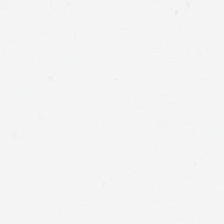WSI patch · formalin-fixed paraffin-embedded section · H&E stain. The classification is empty background.
